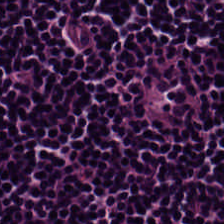H&E-stained tissue section — Predominant tissue — lymphocyte aggregate.
